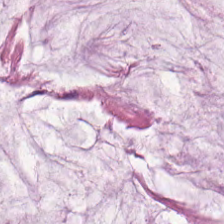Histology → mucus.
